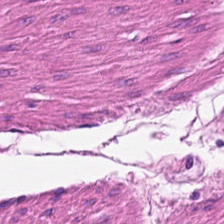FFPE tissue section; hematoxylin and eosin.
Q: What does this patch show?
A: The field shows muscularis.
